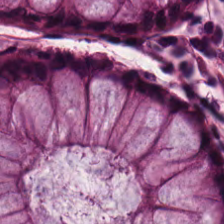H&E stain. Q: What type of tissue is this?
A: The field shows non-neoplastic colon mucosa.
